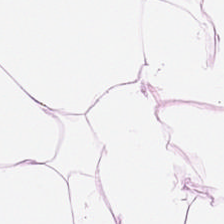H&E stain — Predominant tissue = adipocytes.
